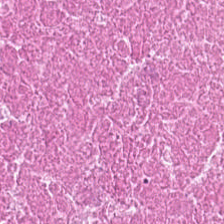Classification = necrotic debris.
